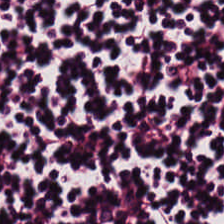Q: What is shown in this field?
A: The field shows lymphoid infiltrate.
